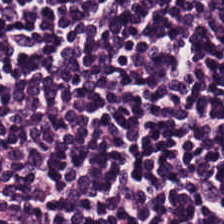Stain: hematoxylin and eosin.
Resolution: 20× equivalent magnification.
Predominant tissue: lymphocytes.
